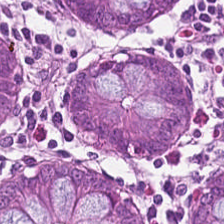Stain: H&E.
Predominant tissue: normal colonic mucosa.
